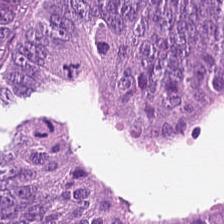H&E stain. Finding — malignant epithelium.
